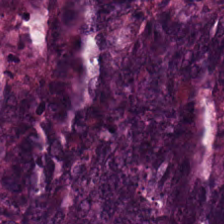Hematoxylin and eosin — Colorectal adenocarcinoma epithelium.
